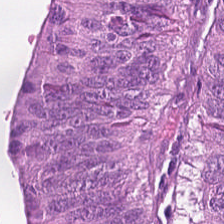H&E stain — Q: Classify this patch.
A: Adenocarcinoma.
